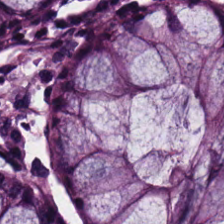This patch shows normal colonic mucosa.
